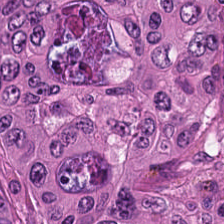224×224 pixel tile; hematoxylin and eosin — Tissue type = malignant epithelium.
